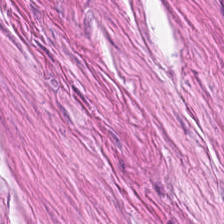Q: What is the predominant tissue type?
A: Smooth muscle.
